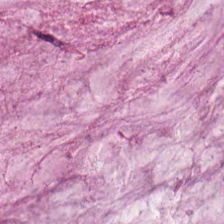Brightfield microscopy · H&E-stained tissue section — Extracellular mucin.
